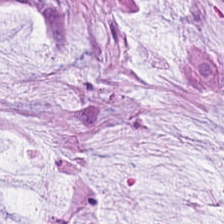Stain: H&E.
Tissue type: mucus.
